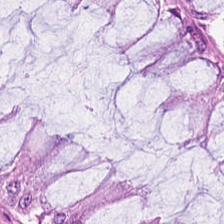H&E stain.
The predominant tissue is normal colonic mucosa.
